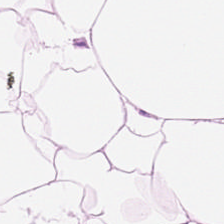20× equivalent magnification · hematoxylin and eosin.
Finding → adipocytes.
